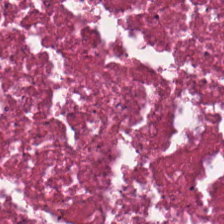Hematoxylin and eosin — Cellular debris.
